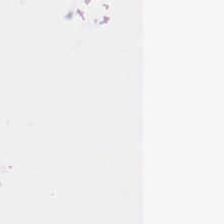0.5 µm per pixel · H&E stain — The classification is background.
